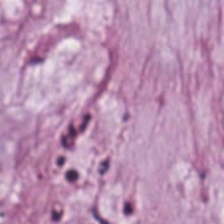Showing mucus.
